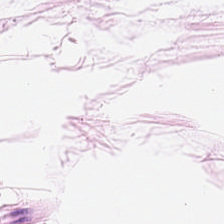Impression — adipose.
